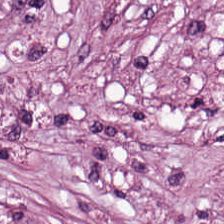H&E. 0.5 µm per pixel. 224×224 px tile.
Q: What tissue is shown?
A: It is tumor-associated stroma.
